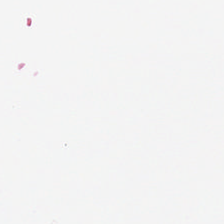224×224 px tile. H&E stain.
Content — background.
